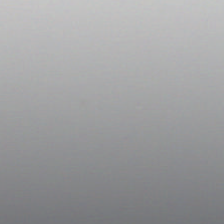224×224 px tile. H&E. Field content: background (no tissue).
